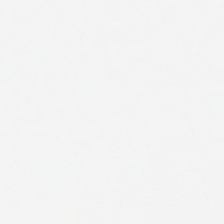H&E stain — Q: What is shown in this field?
A: This is empty background.
